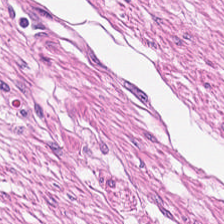H&E-stained tissue section. Brightfield. Tissue — muscularis.
